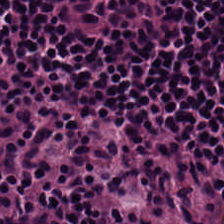Hematoxylin-and-eosin stained section — Q: Classify this patch.
A: It is lymphoid infiltrate.
